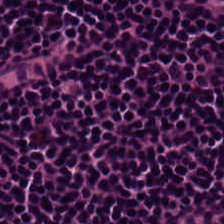Predominant tissue = lymphoid infiltrate.
